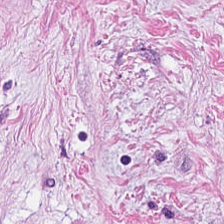Q: What is shown here?
A: Desmoplastic stroma.
